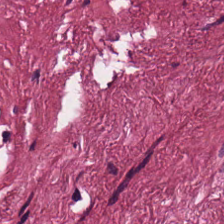H&E-stained tissue section.
Q: Identify the tissue.
A: This is cancer-associated stroma.
